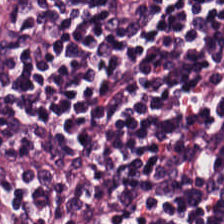Brightfield microscopy; FFPE; H&E stain. This patch shows lymphocyte aggregate.
